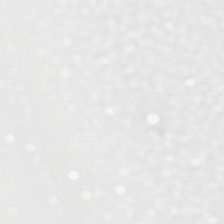The content is empty background.
